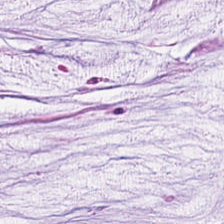Brightfield · H&E stain — Predominant tissue — extracellular mucin.
